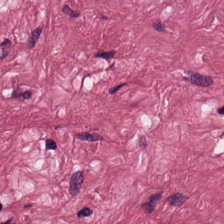WSI patch. Hematoxylin and eosin. FFPE tissue section. Tissue class: tumor-associated stroma.
